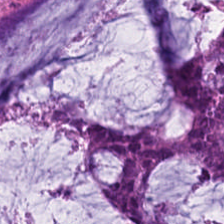H&E stain; whole-slide-image patch; formalin-fixed paraffin-embedded section.
Predominant tissue — mucin.
